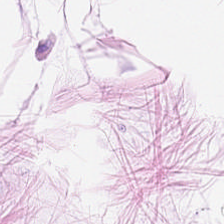FFPE. H&E. Showing adipocytes.
